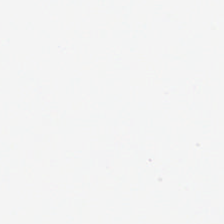224×224 px tile. Hematoxylin and eosin.
Content — empty background.
